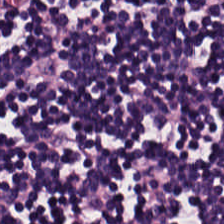Predominant tissue: lymphocytes.
